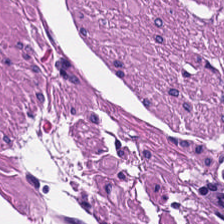Brightfield microscopy; H&E; FFPE — Classification = smooth-muscle tissue.
